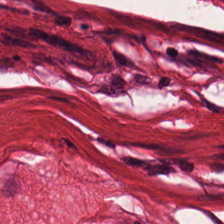Whole-slide-image patch. FFPE tissue section. H&E stain — This field is muscularis.
